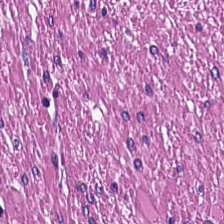Stain: hematoxylin and eosin.
Preparation: FFPE tissue section.
Tissue class: smooth muscle.
